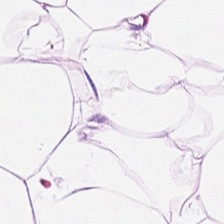H&E-stained tissue section.
Q: What is shown in this field?
A: It is fat tissue.
